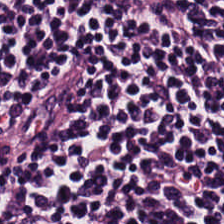The predominant tissue is lymphocytes.
